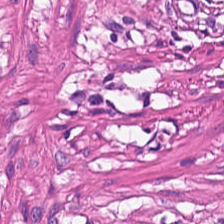Finding → smooth-muscle tissue.
